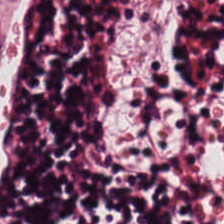H&E stain · 0.5 µm per pixel.
The predominant tissue is lymphocytic infiltrate.
